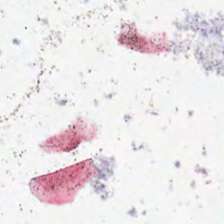The field content is background.
